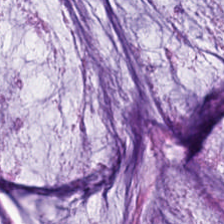Stain: hematoxylin and eosin.
Predominant tissue: extracellular mucin.
